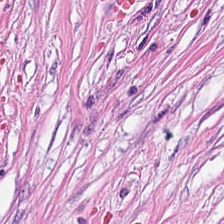224×224 px patch; H&E. Predominantly cancer-associated stroma.
